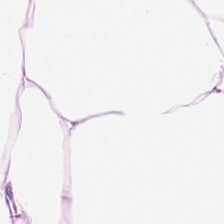Stain: H&E.
Predominant tissue: adipocytes.
